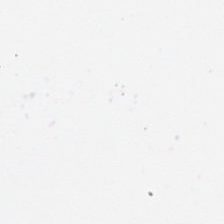Hematoxylin-and-eosin stained section. Impression → background.
